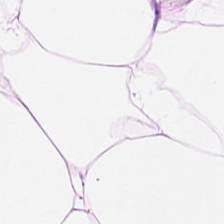Whole-slide-image patch · H&E stain.
Classification — fat tissue.
